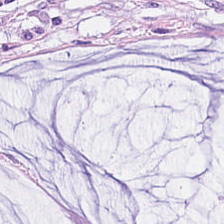Predominant tissue: mucin.
